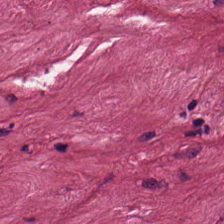The tissue type is desmoplastic stroma.
